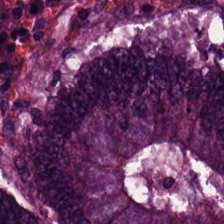H&E stain. FFPE tissue section. Tissue class: colorectal adenocarcinoma epithelium.
